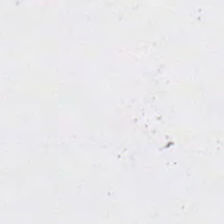H&E · 20× equivalent magnification.
Q: What is shown in this field?
A: It is empty background.
